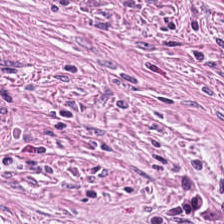Predominantly desmoplastic stroma.
